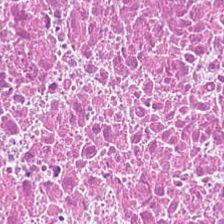Hematoxylin-and-eosin stained section.
The tissue here is debris.
